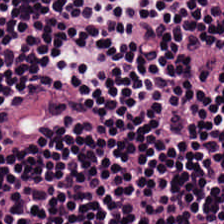Stain: hematoxylin-and-eosin stained section.
Predominant tissue: lymphoid infiltrate.
